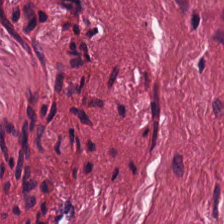H&E stain. Histology — desmoplastic stroma.
